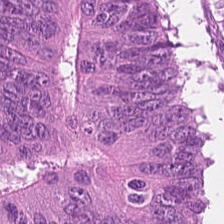Hematoxylin-and-eosin section: malignant epithelium.
